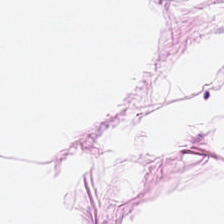The tissue type is adipose tissue.
